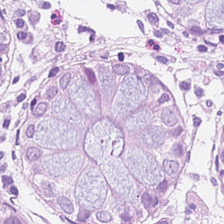Hematoxylin-and-eosin section: benign colonic mucosa.
